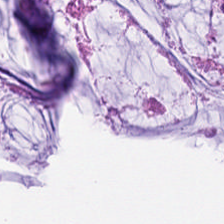20× equivalent magnification · H&E-stained tissue section. The classification is mucin.
